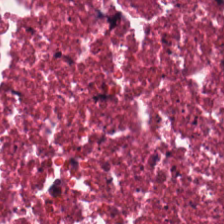H&E.
Q: Identify the tissue.
A: The field shows cellular debris.
